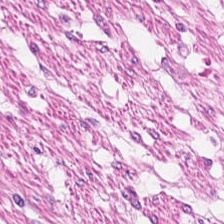Brightfield. H&E-stained tissue section. Showing smooth muscle.
